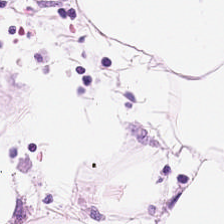H&E.
The tissue here is adipose.
